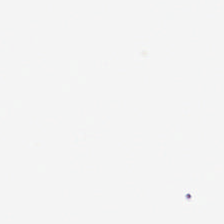H&E-stained tissue section — Field content — background (no tissue).
